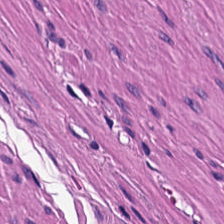Formalin-fixed paraffin-embedded section; hematoxylin-and-eosin stained section; 224×224 px tile — Q: What tissue is shown?
A: It is smooth muscle.
